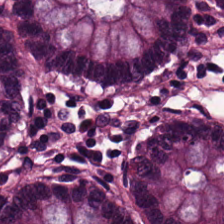H&E. Normal colon mucosa.
